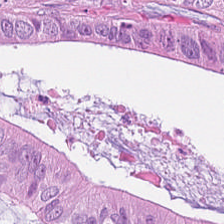The predominant tissue is adenocarcinoma.
